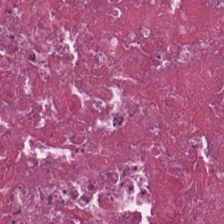Predominant tissue: cellular debris.
